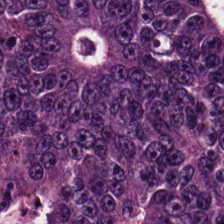Hematoxylin-and-eosin stained section.
Histology — colorectal adenocarcinoma.
